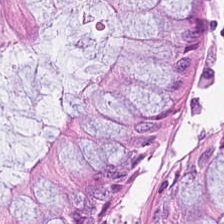Stain: hematoxylin and eosin.
Tissue type: normal colonic mucosa.
